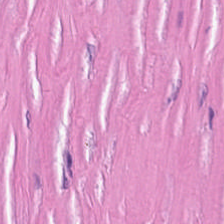Hematoxylin-and-eosin stained section.
This field is desmoplastic stroma.
